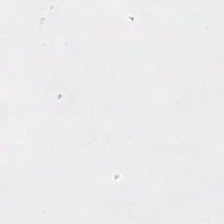Classification — background.
